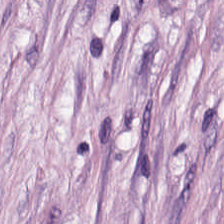Impression → desmoplastic stroma.
